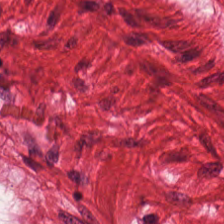Stain: H&E.
Preparation: FFPE tissue section.
Tissue type: smooth-muscle tissue.
